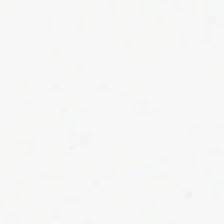H&E-stained tissue section.
Impression — background (no tissue).
